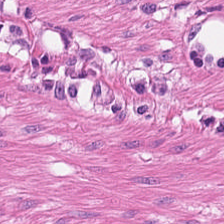H&E-stained section; the field shows smooth-muscle tissue.
